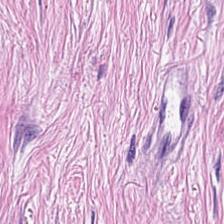Hematoxylin-and-eosin stained section.
The predominant tissue is desmoplastic stroma.
